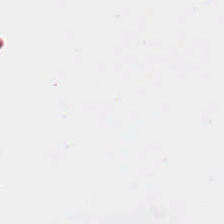No tissue present; background only.
